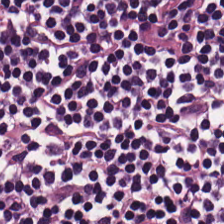H&E — lymphocyte aggregate.
